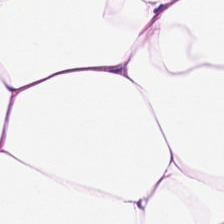Hematoxylin-and-eosin stained section · 224×224 pixel tile.
Q: Identify the tissue.
A: This is adipose.
